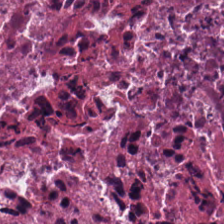Q: What tissue is shown?
A: The field shows cellular debris.
